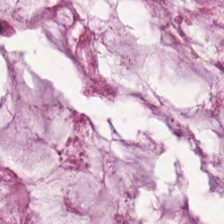Stain: H&E-stained tissue section.
Acquisition: brightfield.
Preparation: formalin-fixed paraffin-embedded section.
Tissue: mucin.
